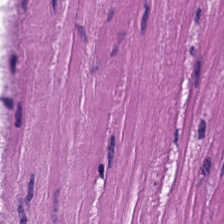Hematoxylin-and-eosin section: smooth-muscle tissue.
